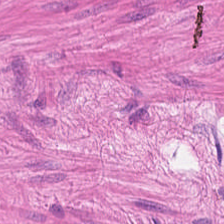Hematoxylin and eosin. Q: What is the predominant tissue type?
A: This is smooth-muscle tissue.
